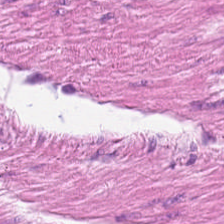Brightfield. FFPE tissue section. Hematoxylin and eosin — This field is smooth-muscle tissue.
